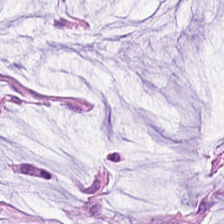Hematoxylin and eosin.
The tissue here is extracellular mucin.
